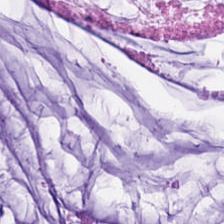H&E.
The predominant tissue is mucin.
